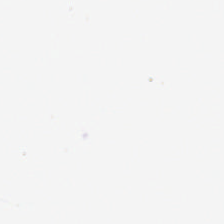This patch shows background (no tissue).
